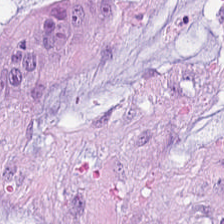H&E-stained tissue section. Tissue type = extracellular mucin.
